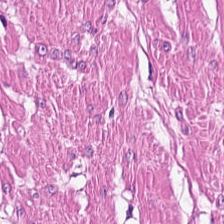H&E stain. This field is smooth muscle.
